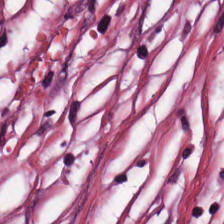0.5 µm per pixel. H&E-stained tissue section.
Cancer-associated stroma.
